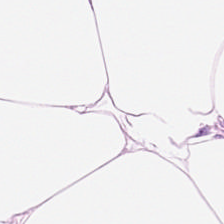Stain: H&E stain.
Resolution: 0.5 microns per pixel.
Tissue: adipose tissue.
